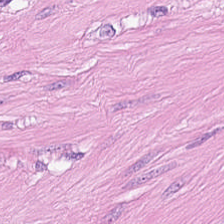Brightfield; H&E stain; 224×224 px patch. Showing smooth muscle.
